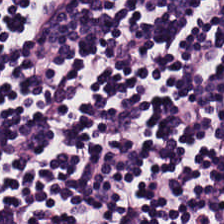224×224 px tile · H&E-stained tissue section.
Classification: lymphocytes.
